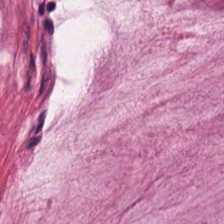{"tissue_type": "mucin"}
